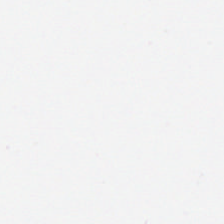Brightfield. H&E.
This patch shows empty background.
